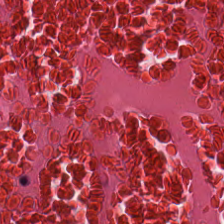The predominant tissue is cellular debris.
